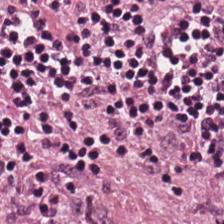Stain: hematoxylin-and-eosin stained section.
Tile size: 224×224 pixel tile.
Acquisition: brightfield microscopy.
Tissue: lymphocytic infiltrate.
